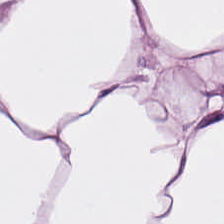Tissue type = fat tissue.
